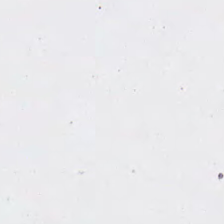The classification is no tissue.
